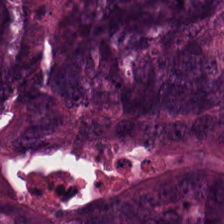Hematoxylin-and-eosin stained section; 0.5 µm/px.
Showing malignant epithelium.
